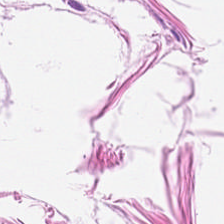Brightfield · formalin-fixed paraffin-embedded section · hematoxylin and eosin — Classification — adipose.
